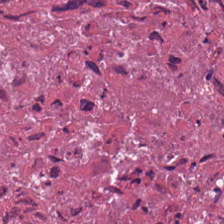Brightfield; H&E-stained tissue section — The predominant tissue is debris.
